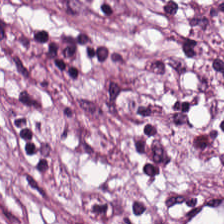H&E. 224×224 px patch — The predominant tissue is tumor stroma.
